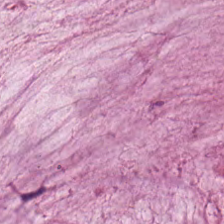Hematoxylin-and-eosin stained section. Brightfield microscopy — This field is mucus.
